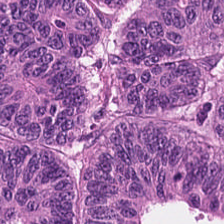This patch shows colorectal adenocarcinoma epithelium.
